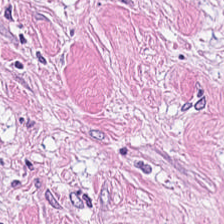224×224 px tile · hematoxylin and eosin — Desmoplastic stroma.
